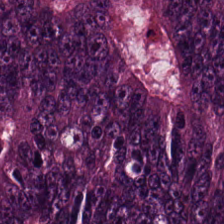Hematoxylin and eosin; WSI patch. Colorectal adenocarcinoma epithelium.
